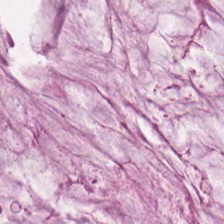Brightfield microscopy; hematoxylin and eosin; 224×224 px patch — Tissue — mucus.
